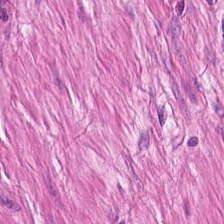H&E stain. The classification is smooth muscle.
